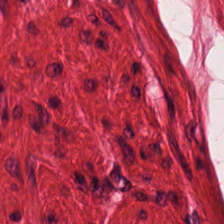H&E-stained tissue section.
Smooth-muscle tissue.
